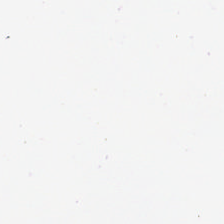224×224 px patch; hematoxylin-and-eosin stained section.
Content: no tissue.
